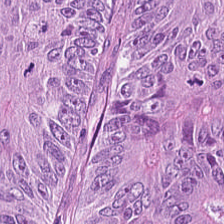Stain: hematoxylin-and-eosin stained section.
Tile size: 224×224 pixel tile.
Resolution: 0.5 µm per pixel.
Predominant tissue: adenocarcinoma.
